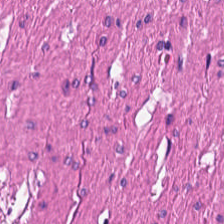FFPE tissue section; H&E stain. {"tissue_type": "muscularis"}
